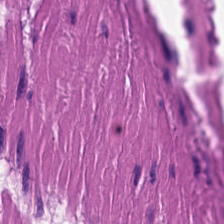Hematoxylin-and-eosin stained section — Q: What tissue type is shown here?
A: It is smooth-muscle tissue.
